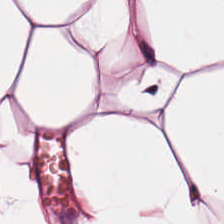H&E. Histology → adipose tissue.
